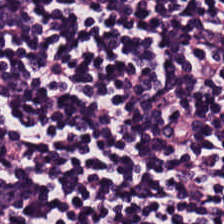H&E. FFPE tissue section.
The predominant tissue is lymphocytic infiltrate.
